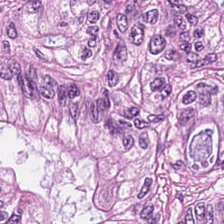H&E stain · 0.5 microns per pixel — Impression → adenocarcinoma.
